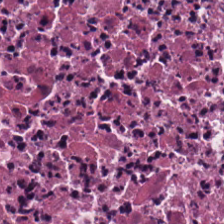Formalin-fixed paraffin-embedded section. H&E. This field is necrotic debris.
